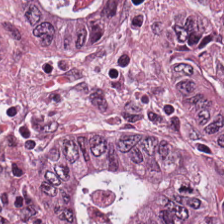Stain: hematoxylin and eosin.
Resolution: 0.5 µm per pixel.
Predominant tissue: tumor epithelium.
